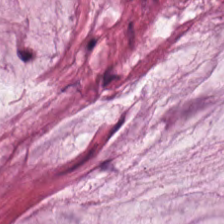H&E; 224×224 pixel tile.
Histology → mucus.
